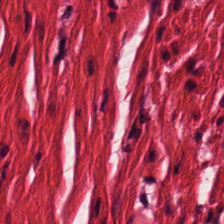Hematoxylin-and-eosin stained section — Finding → smooth-muscle tissue.
